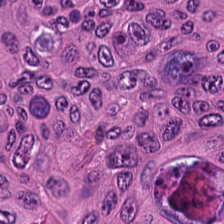Brightfield; hematoxylin and eosin. Predominant tissue — tumor epithelium.
